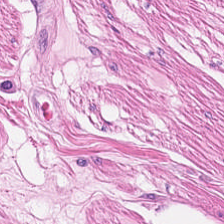H&E stain.
Predominant tissue: muscularis.
